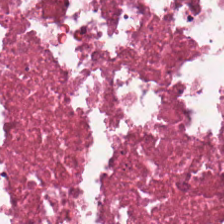0.5 microns per pixel; H&E-stained tissue section. {"tissue_type": "debris"}
